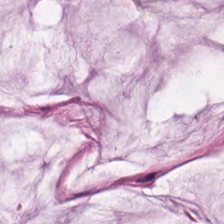H&E-stained tissue section. Predominantly extracellular mucin.
